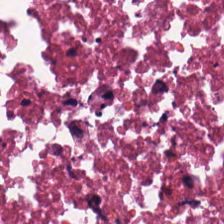Q: What type of tissue is this?
A: This is necrotic debris.
